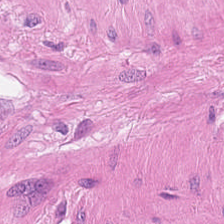Hematoxylin-and-eosin stained section. Finding → smooth muscle.
